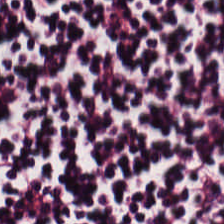0.5 µm per pixel · H&E-stained tissue section · FFPE. Impression → lymphocyte aggregate.
